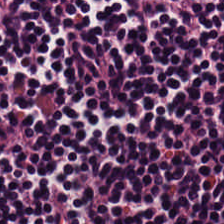Hematoxylin-and-eosin stained section.
Q: What type of tissue is this?
A: The field shows lymphocyte aggregate.
